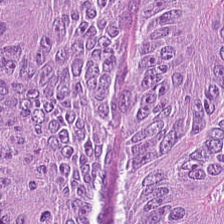FFPE; H&E-stained tissue section — Q: What type of tissue is this?
A: This is tumor epithelium.
